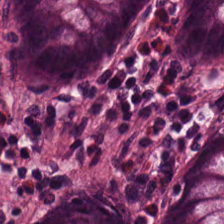FFPE tissue section; hematoxylin-and-eosin stained section — This patch shows normal colonic mucosa.
